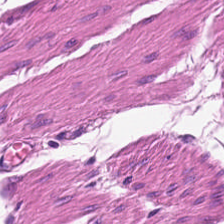{"tissue_type": "smooth-muscle tissue"}
